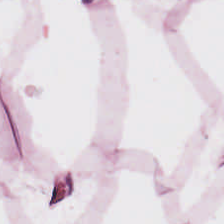Q: What tissue type is shown here?
A: The field shows adipocytes.
